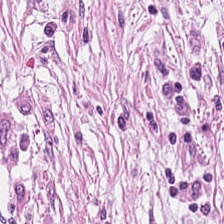Hematoxylin and eosin — The predominant tissue is cancer-associated stroma.
